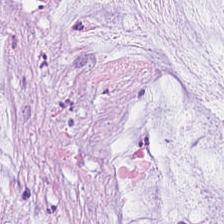H&E-stained tissue section showing mucus.
